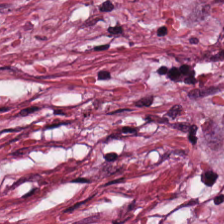Impression → desmoplastic stroma.
